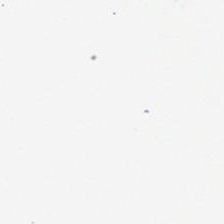No tissue present; background only.
